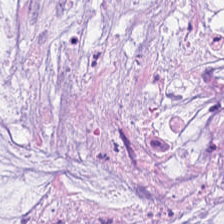Stain: H&E stain.
Tile size: 224×224 pixel tile.
Predominant tissue: mucus.
